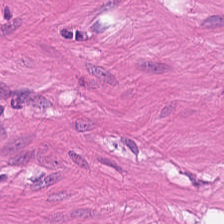Q: What tissue type is shown here?
A: The field shows smooth muscle.
